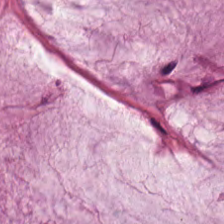H&E stain. Histology — mucin.
